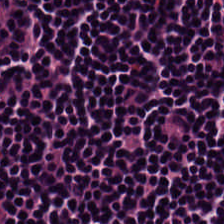Stain: H&E-stained tissue section.
Predominant tissue: lymphocyte aggregate.
